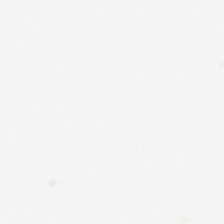H&E.
Impression — empty background.
